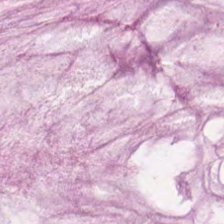H&E-stained tissue section showing mucus.
